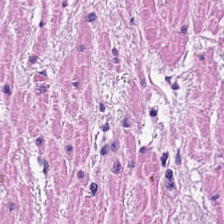FFPE tissue section; brightfield microscopy; hematoxylin-and-eosin stained section — Showing smooth-muscle tissue.
